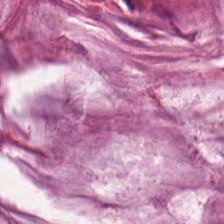Hematoxylin and eosin. 0.5 µm/px — Mucin.
